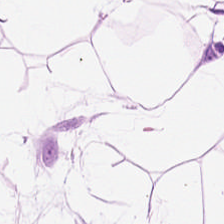Stain: hematoxylin and eosin.
Predominant tissue: adipocytes.
